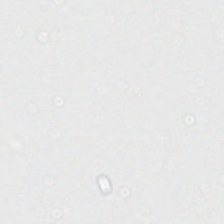Hematoxylin and eosin; FFPE; 0.5 µm/px — Q: What is shown here?
A: It is background (no tissue).
